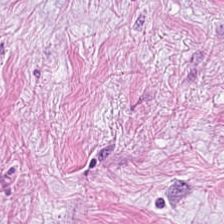224×224 px tile · WSI patch · H&E-stained tissue section. This field is tumor stroma.
